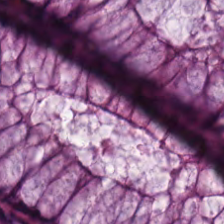Stain: hematoxylin-and-eosin stained section.
Tissue class: normal colon mucosa.
